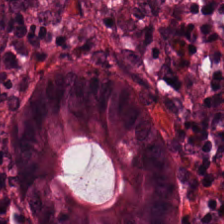{"tissue_type": "benign colonic mucosa"}
